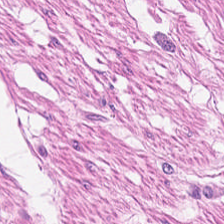Brightfield microscopy · H&E.
This field is muscularis.
